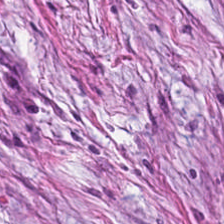{"tissue_type": "desmoplastic stroma"}
